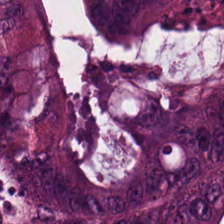224×224 px patch. Whole-slide-image patch. H&E-stained tissue section — This field is adenocarcinoma.
